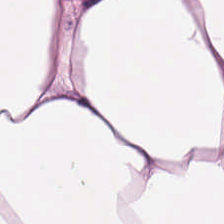Tissue type: adipose tissue.
